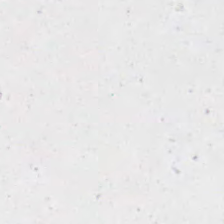Stain: H&E.
Acquisition: whole-slide-image patch.
Resolution: 0.5 µm/px.
Classification: empty background.
